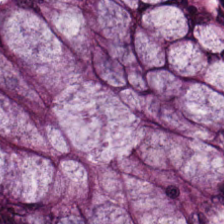H&E stain. Q: What is shown in this field?
A: It is normal colon mucosa.
